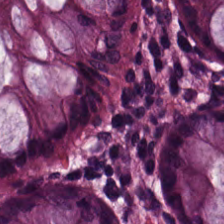Hematoxylin-and-eosin stained section. 0.5 µm/px. Histology → normal colonic mucosa.
